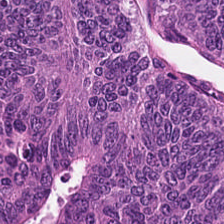WSI patch; H&E stain.
Impression — colorectal adenocarcinoma.
